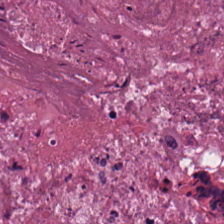224×224 pixel tile · formalin-fixed paraffin-embedded section · H&E stain. This field is necrotic debris.
